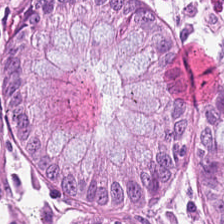H&E-stained tissue section.
The tissue is normal colonic mucosa.
